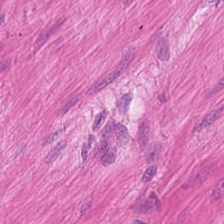Stain: H&E.
Tissue: muscularis.
